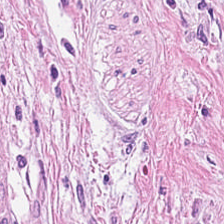{"tissue_type": "tumor stroma"}
